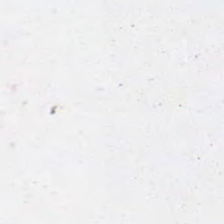H&E stain — Q: Classify this patch.
A: This is background (no tissue).
